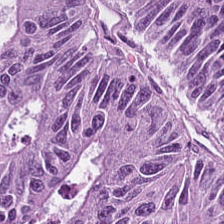Hematoxylin and eosin — This patch shows malignant epithelium.
